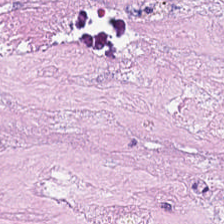Tissue = cellular debris.
